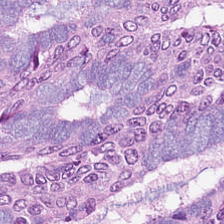Brightfield microscopy; hematoxylin-and-eosin stained section.
This patch shows malignant epithelium.
